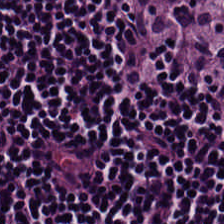H&E.
Q: What is shown here?
A: The field shows lymphoid infiltrate.
